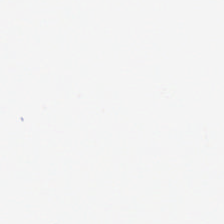Q: What is shown here?
A: It is no tissue.
